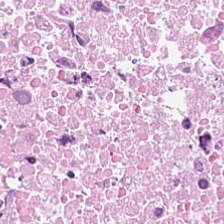Cellular debris.
